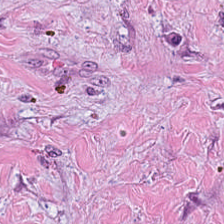H&E stain — Histology → tumor stroma.
